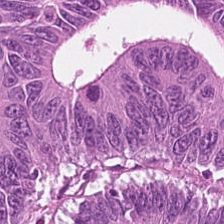H&E-stained tissue section. Q: What is shown here?
A: This is malignant epithelium.
